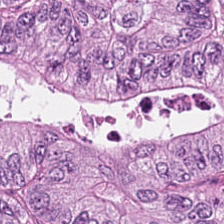Tissue type — malignant epithelium.
